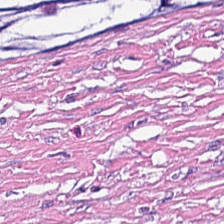Hematoxylin-and-eosin stained section. Finding → desmoplastic stroma.
